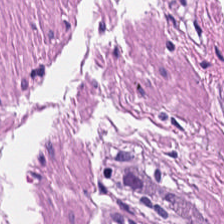H&E.
The tissue class is muscularis.
